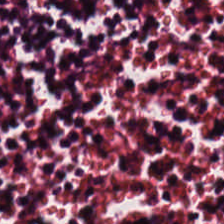0.5 µm per pixel; H&E; 224×224 px tile. This patch shows lymphocyte aggregate.
